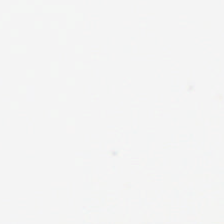Hematoxylin-and-eosin stained section. Content = no tissue.
